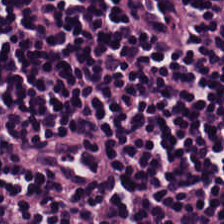Hematoxylin-and-eosin section: lymphocytic infiltrate.
